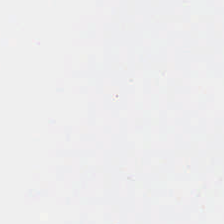WSI patch; H&E-stained tissue section; 20× equivalent magnification.
Field content: empty background.
